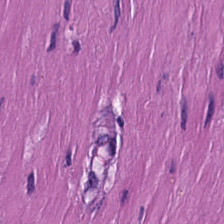Stain: H&E.
Classification: muscularis.
